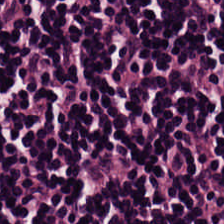224×224 px tile. Hematoxylin and eosin. 0.5 µm/px — Q: What is the predominant tissue type?
A: It is lymphocytes.
